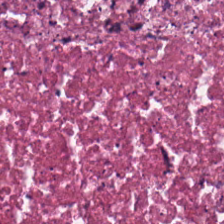Stain: H&E.
Acquisition: brightfield microscopy.
Tile size: 224×224 px patch.
Tissue: necrotic debris.
